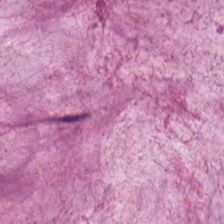Stain: H&E stain.
Acquisition: brightfield microscopy.
Tile size: 224×224 px tile.
Predominant tissue: extracellular mucin.
